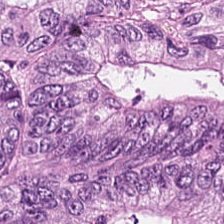H&E-stained tissue section.
Predominantly malignant epithelium.
